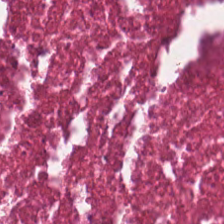Formalin-fixed paraffin-embedded section; 0.5 microns per pixel; hematoxylin and eosin. Predominantly cellular debris.
